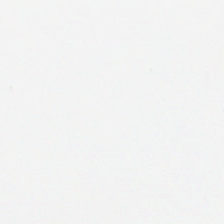Hematoxylin-and-eosin stained section — No tissue present; background only.
